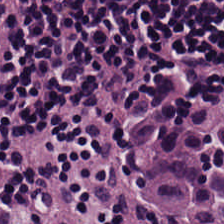Stain: hematoxylin and eosin.
Tissue: lymphocytic infiltrate.
